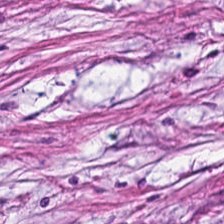WSI patch. H&E. Tumor stroma.
